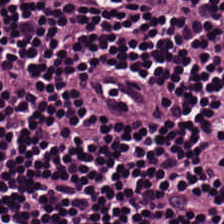Whole-slide-image patch; 0.5 µm per pixel; hematoxylin-and-eosin stained section.
This patch shows lymphoid infiltrate.
